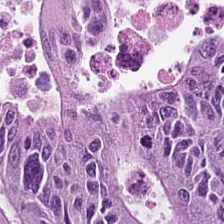Stain: H&E stain.
Tissue type: colorectal adenocarcinoma epithelium.
